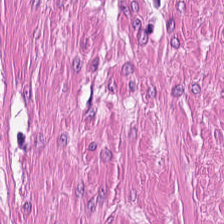Hematoxylin-and-eosin stained section — Finding → muscularis.
